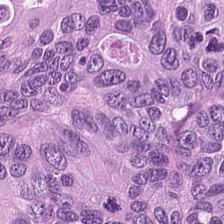H&E — {"tissue_type": "adenocarcinoma"}
